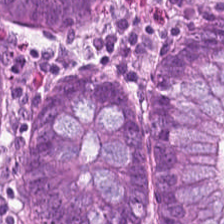Stain: H&E-stained tissue section.
Acquisition: brightfield microscopy.
Tile size: 224×224 px patch.
Tissue: normal colon mucosa.
